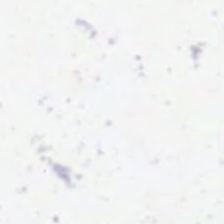H&E.
Background — no tissue in this field.
